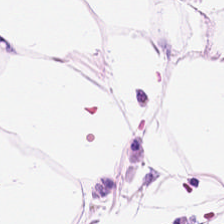Hematoxylin and eosin — Predominantly adipocytes.
